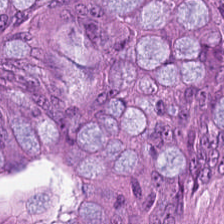Hematoxylin and eosin · whole-slide-image patch — Q: What does this patch show?
A: Malignant epithelium.
